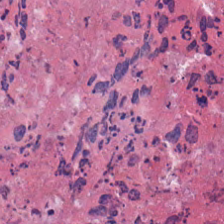H&E-stained tissue section. 224×224 px patch.
Histology — debris.
